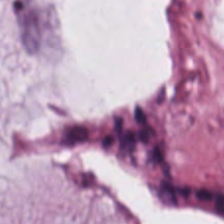FFPE · 20× equivalent magnification · hematoxylin and eosin.
The tissue is mucin.
